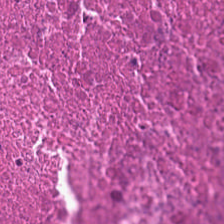H&E — This field is debris.
